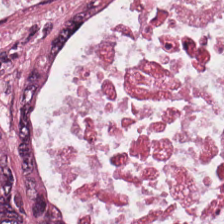Histology → colorectal adenocarcinoma.
